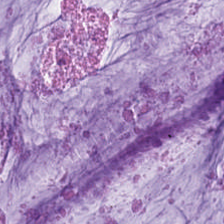Hematoxylin-and-eosin stained section. Impression — mucus.
